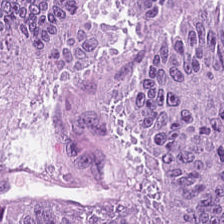Q: What is shown here?
A: The field shows tumor epithelium.
